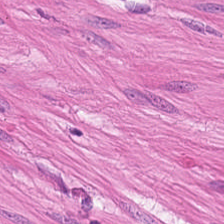H&E stain · FFPE tissue section.
{"tissue_type": "smooth-muscle tissue"}
